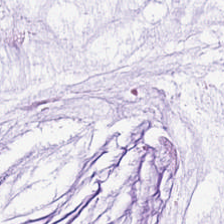Tissue type — mucin.
